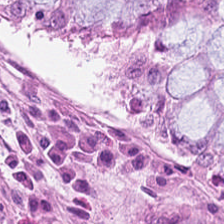Stain: hematoxylin and eosin.
Resolution: 0.5 µm per pixel.
Tissue type: non-neoplastic colon mucosa.
